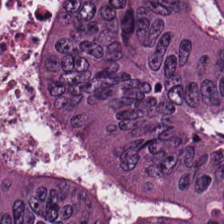0.5 microns per pixel. Hematoxylin and eosin. This patch shows colorectal adenocarcinoma.
